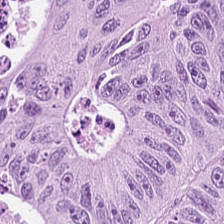Hematoxylin and eosin.
Q: What tissue is shown?
A: This is adenocarcinoma.
